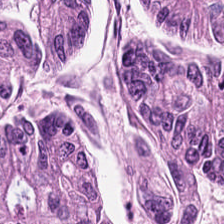{"tissue_type": "adenocarcinoma"}
